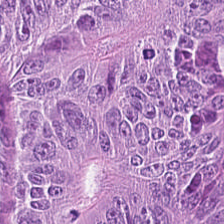Hematoxylin and eosin.
{"tissue_type": "adenocarcinoma"}
